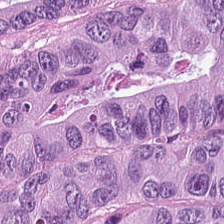Hematoxylin-and-eosin section: tumor epithelium.
